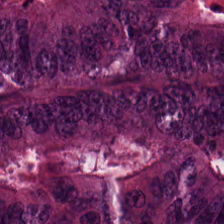H&E — tumor epithelium.
